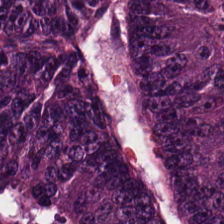Impression — colorectal adenocarcinoma epithelium.
